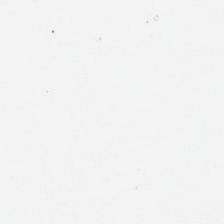Hematoxylin-and-eosin stained section; brightfield; FFPE.
Field content = empty background.
